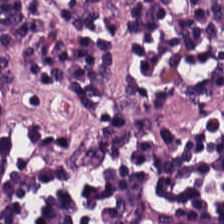Stain: H&E-stained tissue section.
Tissue class: lymphocytic infiltrate.
